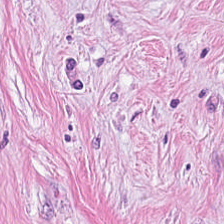Hematoxylin and eosin — Cancer-associated stroma.
